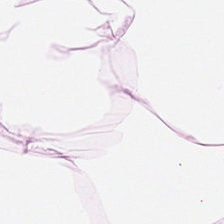Hematoxylin-and-eosin stained section. 0.5 microns per pixel.
Q: What is shown here?
A: Adipose tissue.
